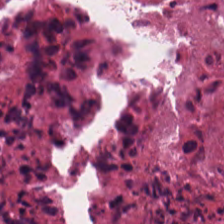Stain: hematoxylin-and-eosin stained section.
Preparation: formalin-fixed paraffin-embedded section.
Tissue class: necrotic debris.
